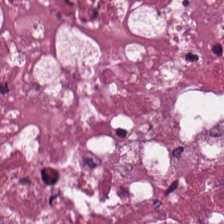Stain: hematoxylin-and-eosin stained section.
Tissue type: debris.
